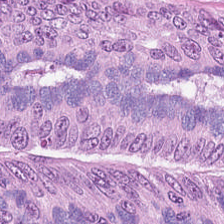{"tissue_type": "adenocarcinoma"}
